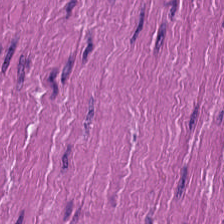224×224 pixel tile; H&E-stained tissue section.
Tissue class: smooth muscle.
